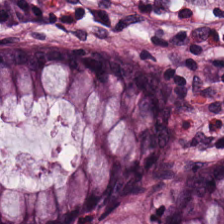H&E.
The tissue here is normal colon mucosa.
